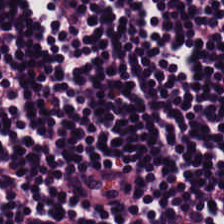H&E.
This field is lymphocytic infiltrate.
